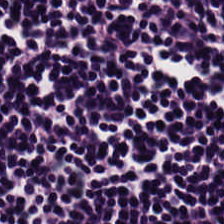Hematoxylin and eosin; 224×224 px patch; FFPE tissue section.
This patch shows lymphocytes.
